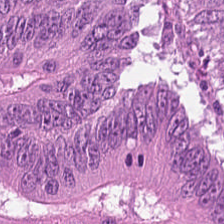Hematoxylin and eosin.
This field is colorectal adenocarcinoma epithelium.
